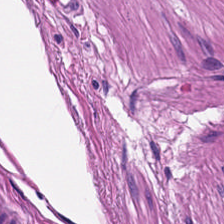Stain: hematoxylin-and-eosin stained section.
Tissue: smooth muscle.
